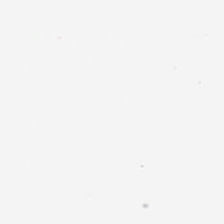Hematoxylin and eosin — Content: no tissue.
